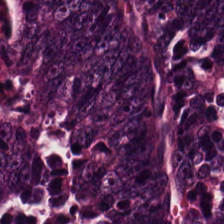H&E; brightfield microscopy — Tissue class = adenocarcinoma.
